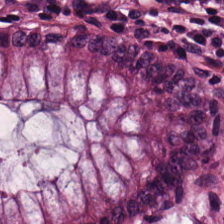H&E stain — This patch shows benign colonic mucosa.
